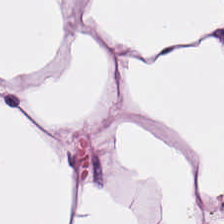The predominant tissue is adipocytes.
